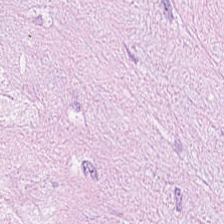Stain: H&E.
Tissue class: tumor stroma.
